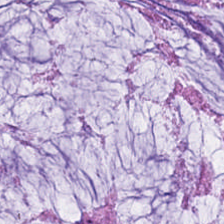H&E stain.
Predominantly mucus.
